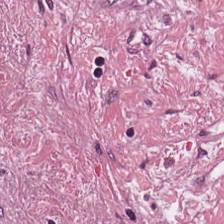Tissue type = tumor-associated stroma.
